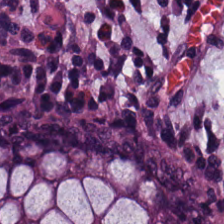H&E stain.
Predominantly normal colon mucosa.
